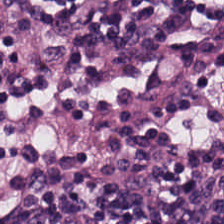H&E stain. The predominant tissue is lymphocytes.
